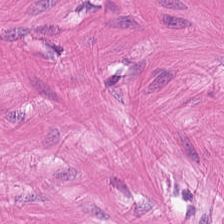Stain: hematoxylin and eosin.
Acquisition: whole-slide-image patch.
Preparation: formalin-fixed paraffin-embedded section.
Predominant tissue: muscularis.
